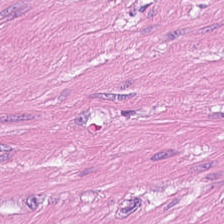FFPE tissue section. Hematoxylin and eosin. 0.5 µm per pixel. Predominantly smooth muscle.
